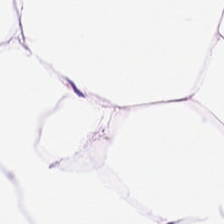H&E.
Impression → adipocytes.
